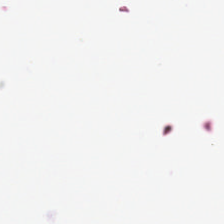20× equivalent magnification · FFPE tissue section · H&E.
No tissue present; background only.
